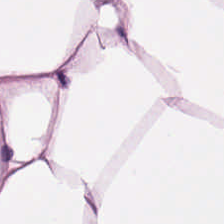H&E stain — Impression → fat tissue.
